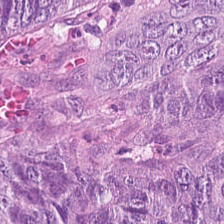H&E-stained tissue section.
Malignant epithelium.
